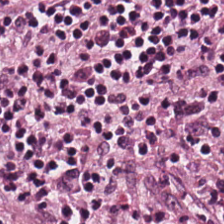20× equivalent magnification · H&E stain · formalin-fixed paraffin-embedded section. {"tissue_type": "lymphocytic infiltrate"}
